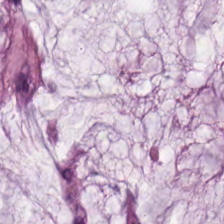Brightfield. 224×224 px tile. H&E stain — Showing mucin.
